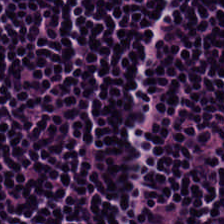H&E-stained tissue section; 0.5 µm/px — The predominant tissue is lymphocytes.
